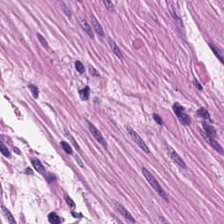Q: What type of tissue is this?
A: The field shows muscularis.
